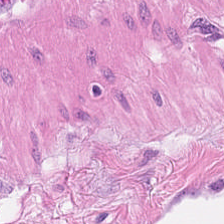H&E-stained tissue section.
This patch shows muscularis.
